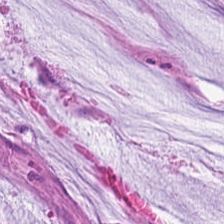224×224 pixel tile. H&E. 0.5 µm/px.
This patch shows mucus.
